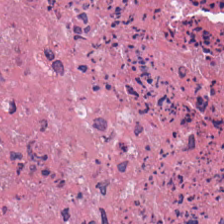The predominant tissue is necrotic debris.
